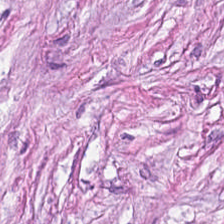Stain: H&E.
Predominant tissue: desmoplastic stroma.
